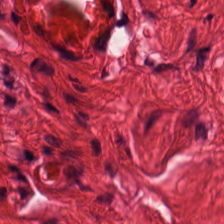Stain: H&E.
Tissue: smooth-muscle tissue.
